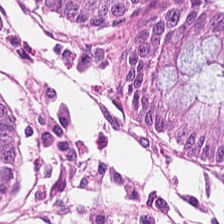H&E. {"tissue_type": "normal colonic mucosa"}
